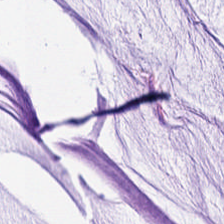H&E.
Showing mucus.
